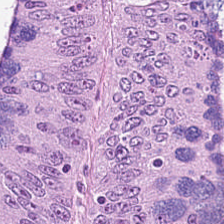Hematoxylin and eosin. 224×224 px tile. Showing tumor epithelium.
